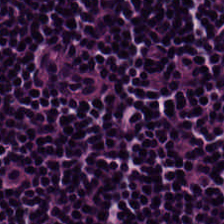The predominant tissue is lymphocytic infiltrate.
